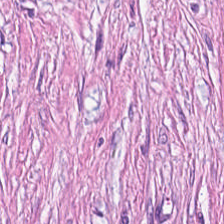224×224 pixel tile. Hematoxylin and eosin.
Tissue — desmoplastic stroma.
